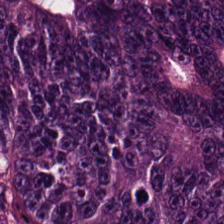H&E stain. Showing malignant epithelium.
